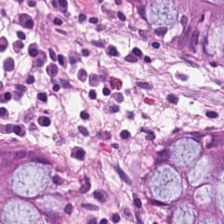Hematoxylin-and-eosin stained section. Finding → normal colonic mucosa.
